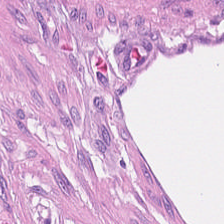H&E-stained tissue section — The tissue here is tumor stroma.
